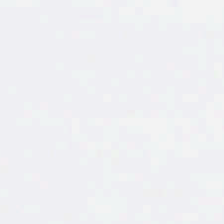0.5 µm per pixel · FFPE tissue section · H&E-stained tissue section.
This patch shows background.
